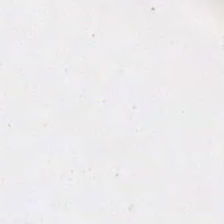Stain: H&E-stained tissue section.
Acquisition: WSI patch.
Resolution: 0.5 µm/px.
Classification: no tissue.
